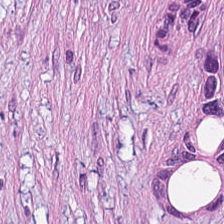Brightfield; hematoxylin-and-eosin stained section. This field is tumor-associated stroma.
